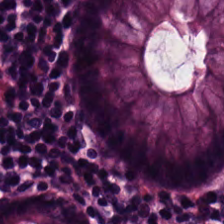H&E-stained tissue section; 0.5 microns per pixel; FFPE.
The predominant tissue is non-neoplastic colon mucosa.
